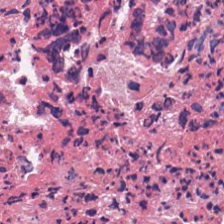H&E-stained tissue section — The tissue here is cellular debris.
